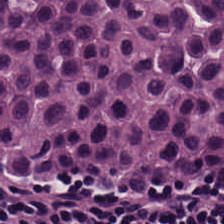Brightfield · H&E-stained tissue section.
Q: What tissue is shown?
A: The field shows lymphocyte aggregate.
